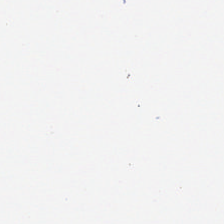H&E stain · FFPE tissue section — Classification — empty background.
